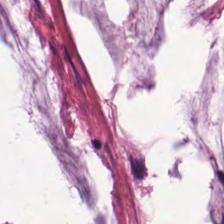FFPE · hematoxylin and eosin · 0.5 µm/px. The tissue here is mucin.
